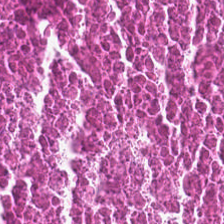Whole-slide-image patch · H&E stain · FFPE tissue section.
{"tissue_type": "cellular debris"}
